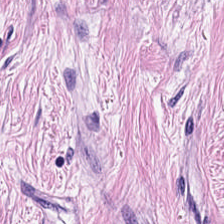H&E stain. The tissue here is desmoplastic stroma.
